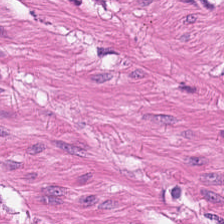Showing smooth-muscle tissue.
